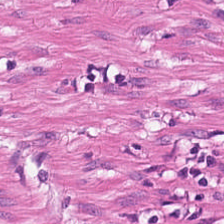Predominant tissue = smooth muscle.
